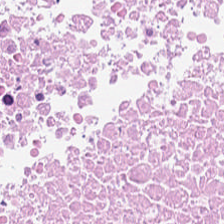{"tissue_type": "cellular debris"}
